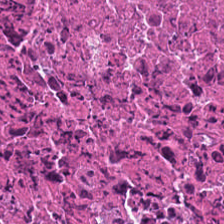224×224 px tile · H&E · FFPE tissue section — The tissue class is debris.
